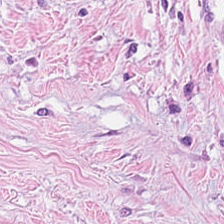Stain: H&E stain.
Resolution: 0.5 microns per pixel.
Tissue class: desmoplastic stroma.
